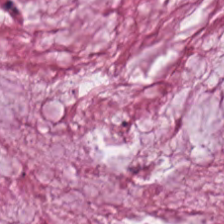H&E-stained tissue section · 224×224 px patch — Finding → extracellular mucin.
